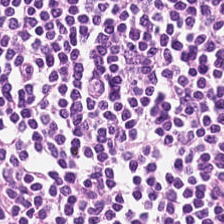This patch shows lymphocyte aggregate.
